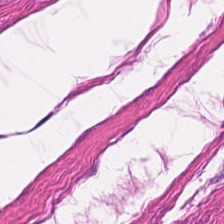Hematoxylin and eosin.
This patch shows muscularis.
